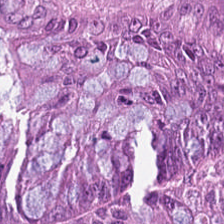Hematoxylin-and-eosin stained section. Q: What tissue type is shown here?
A: Colorectal adenocarcinoma epithelium.
